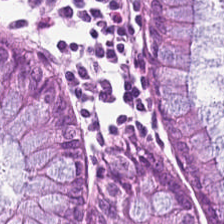Hematoxylin-and-eosin stained section.
Q: What does this patch show?
A: It is normal colon mucosa.
